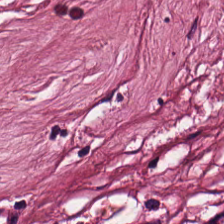Hematoxylin-and-eosin stained section — Q: What is shown in this field?
A: The field shows tumor-associated stroma.
